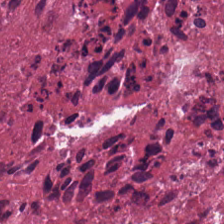Stain: H&E.
Classification: cellular debris.
